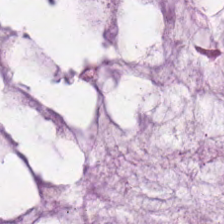H&E-stained tissue section. Whole-slide-image patch. 0.5 µm per pixel. Tissue type — extracellular mucin.
